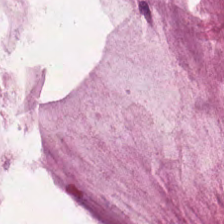0.5 microns per pixel; H&E-stained tissue section — Predominantly extracellular mucin.
